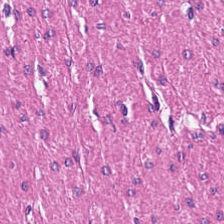Hematoxylin-and-eosin stained section — Tissue class — muscularis.
